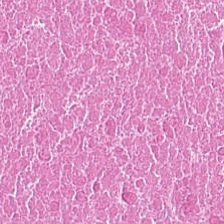Q: What tissue is shown?
A: The field shows debris.
